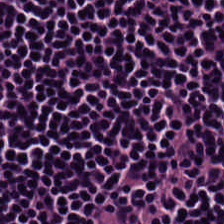H&E patch showing lymphocytes.
